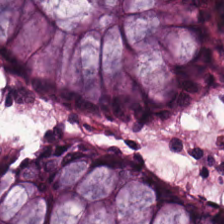Hematoxylin and eosin — Histology — normal colonic mucosa.
